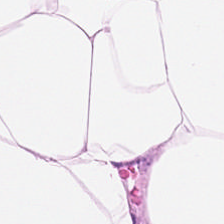Tissue: adipose.
